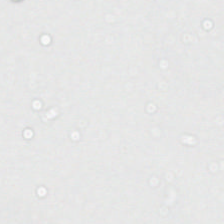This field is background (no tissue).
